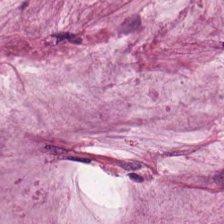H&E — Q: What is shown in this field?
A: Mucus.
